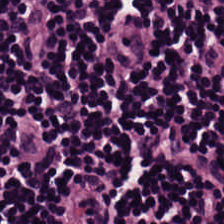H&E-stained section; the field shows lymphocyte aggregate.
